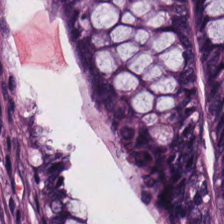Hematoxylin and eosin · 20× equivalent magnification — Tissue class: normal colonic mucosa.
